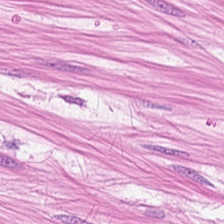0.5 microns per pixel · hematoxylin and eosin. Smooth-muscle tissue.
